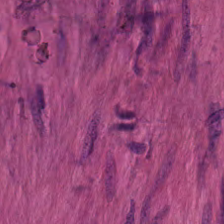0.5 microns per pixel. Hematoxylin and eosin. FFPE. The tissue here is muscularis.
